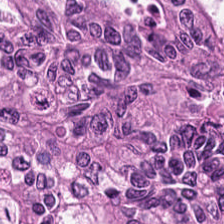Stain: H&E-stained tissue section.
Tissue class: malignant epithelium.
